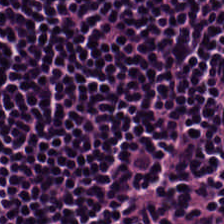Hematoxylin and eosin. Predominantly lymphocytic infiltrate.
